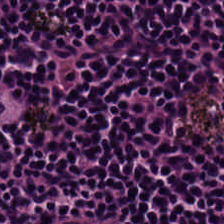224×224 px tile. Hematoxylin and eosin — The tissue here is lymphoid infiltrate.
